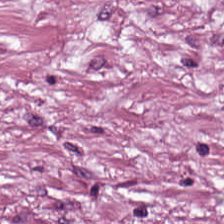H&E · FFPE tissue section · whole-slide-image patch. Q: What does this patch show?
A: This is cancer-associated stroma.
